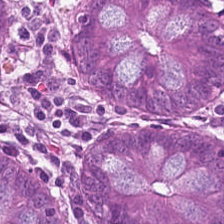Stain: H&E stain.
Classification: normal colon mucosa.
